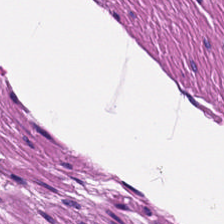0.5 µm/px. H&E stain.
The predominant tissue is smooth muscle.
